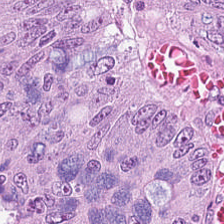Hematoxylin and eosin.
The predominant tissue is colorectal adenocarcinoma.
